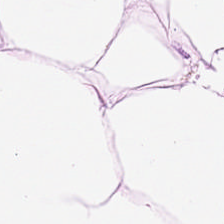Hematoxylin and eosin. 224×224 pixel tile. Predominant tissue = adipocytes.
